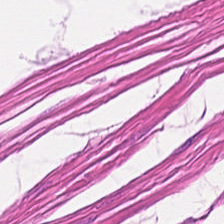H&E stain. 0.5 µm per pixel — The predominant tissue is smooth muscle.
